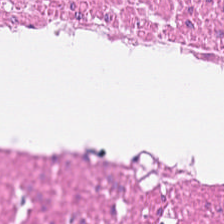H&E-stained tissue section — Muscularis.
